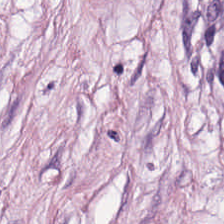H&E-stained tissue section · whole-slide-image patch — Tissue = desmoplastic stroma.
